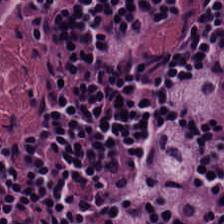0.5 µm per pixel; hematoxylin and eosin.
The classification is lymphocytic infiltrate.
